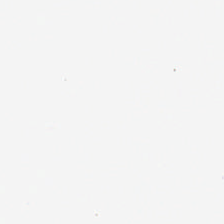H&E-stained tissue section — Content = background (no tissue).
